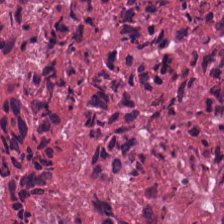Stain: H&E-stained tissue section.
Preparation: FFPE.
Acquisition: whole-slide-image patch.
Tissue class: necrotic debris.
